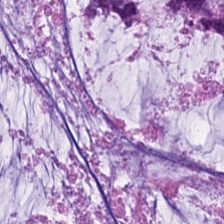Hematoxylin-and-eosin stained section — Q: What is shown in this field?
A: It is mucus.
